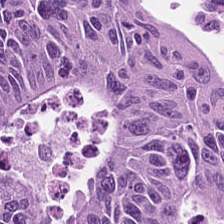Brightfield. Hematoxylin and eosin. 224×224 px tile.
The tissue type is colorectal adenocarcinoma.
